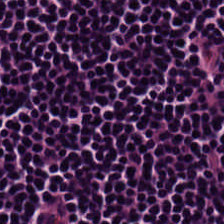Stain: H&E stain.
Preparation: FFPE.
Classification: lymphocyte aggregate.
